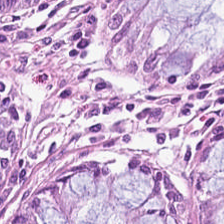H&E-stained tissue section. Tissue = normal colonic mucosa.
